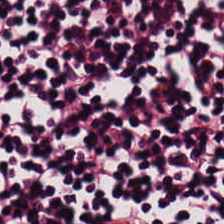H&E stain. The tissue here is lymphocyte aggregate.
